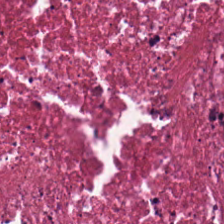Tissue type = cellular debris.
